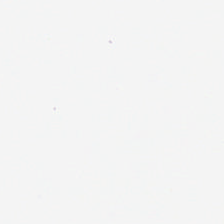Empty field — no tissue.
